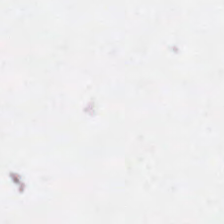Hematoxylin-and-eosin stained section.
Impression → background (no tissue).
